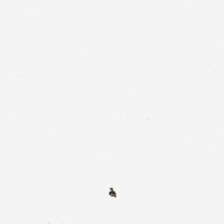H&E.
{"content": "background"}
